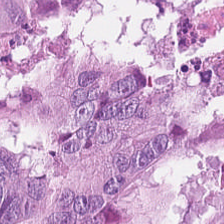{"tissue_type": "tumor epithelium"}
